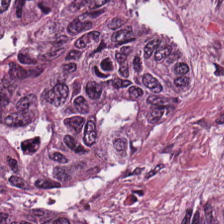WSI patch. Hematoxylin-and-eosin stained section. Colorectal adenocarcinoma epithelium.
